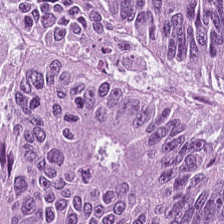Hematoxylin-and-eosin stained section.
Tissue = tumor epithelium.
